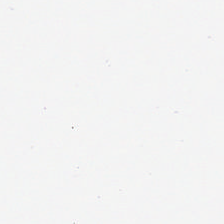Hematoxylin-and-eosin stained section · brightfield · FFPE tissue section. The predominant tissue is fat tissue.
